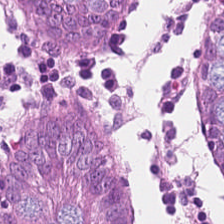Hematoxylin-and-eosin stained section — Showing normal colon mucosa.
